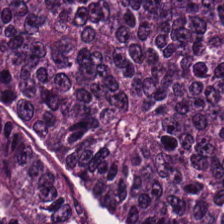H&E-stained tissue section. Classification = tumor epithelium.
